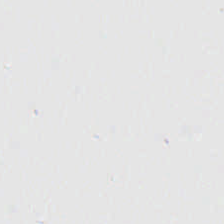224×224 px patch; hematoxylin and eosin.
{"content": "background (no tissue)"}
